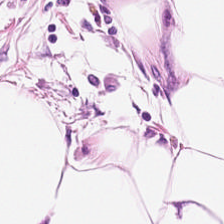Hematoxylin and eosin. The tissue here is adipocytes.
